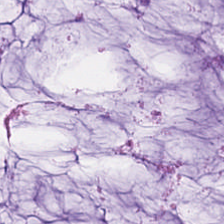224×224 px patch; hematoxylin and eosin. The tissue type is mucus.
